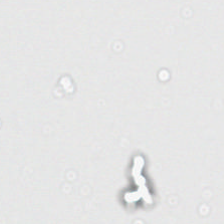224×224 px patch; hematoxylin-and-eosin stained section.
Field content = background.
